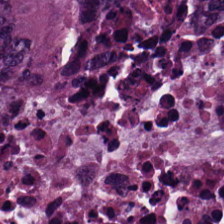H&E-stained tissue section — Q: Classify this patch.
A: This is colorectal adenocarcinoma epithelium.
